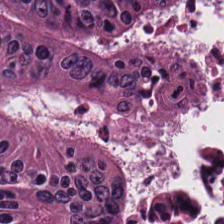0.5 µm per pixel. FFPE tissue section. H&E-stained tissue section. The predominant tissue is adenocarcinoma.
